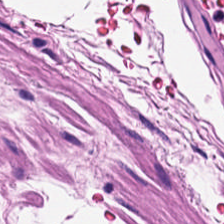H&E · whole-slide-image patch. Tissue class: smooth muscle.
